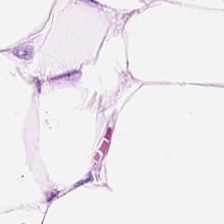224×224 px patch · 0.5 µm/px · H&E — Q: Identify the tissue.
A: This is adipose.
